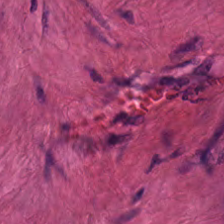H&E-stained tissue section showing smooth muscle.
